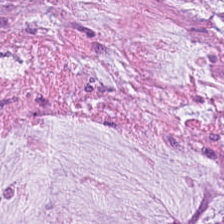Hematoxylin and eosin; brightfield microscopy; formalin-fixed paraffin-embedded section. Q: What is shown in this field?
A: It is mucin.
